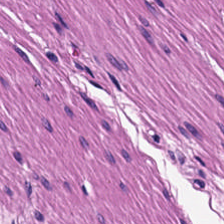H&E stain.
Q: What type of tissue is this?
A: Muscularis.
